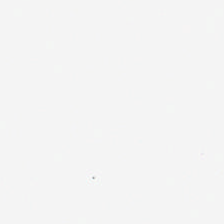Stain: hematoxylin and eosin.
Content: empty background.
